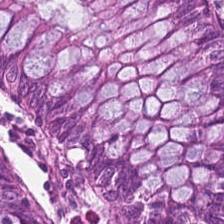Q: What is the predominant tissue type?
A: This is benign colonic mucosa.
